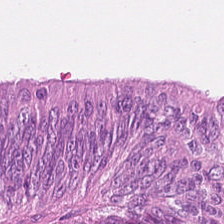H&E patch showing colorectal adenocarcinoma epithelium.
